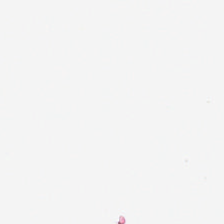H&E-stained tissue section — Q: Classify this patch.
A: This is background.
